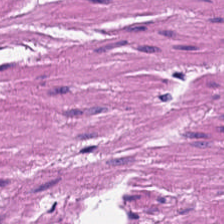Showing smooth-muscle tissue.
